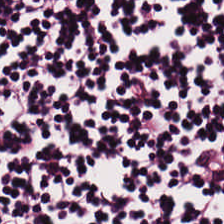H&E-stained tissue section — Predominantly lymphocyte aggregate.
